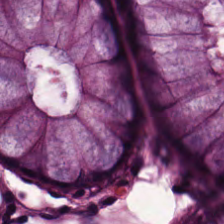Hematoxylin-and-eosin stained section. This field is non-neoplastic colon mucosa.
